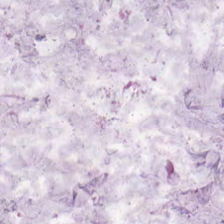Stain: H&E stain.
Tissue type: extracellular mucin.
